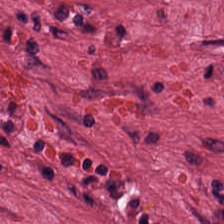Brightfield microscopy; H&E.
Classification = desmoplastic stroma.
